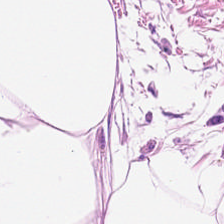Stain: hematoxylin and eosin.
Tile size: 224×224 px patch.
Predominant tissue: adipose.
